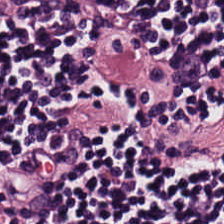Hematoxylin-and-eosin stained section · 0.5 µm/px · formalin-fixed paraffin-embedded section — Q: What is shown in this field?
A: The field shows lymphoid infiltrate.
